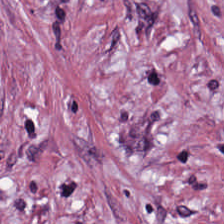224×224 pixel tile; hematoxylin and eosin; formalin-fixed paraffin-embedded section — Q: What tissue type is shown here?
A: It is desmoplastic stroma.
